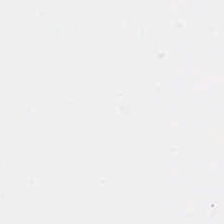H&E.
Field content: no tissue.
